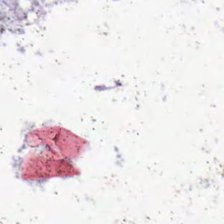The field content is no tissue.
